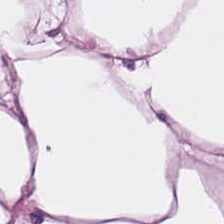224×224 px patch; FFPE; hematoxylin-and-eosin stained section — Showing adipose tissue.
